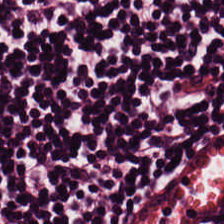H&E. Lymphocytic infiltrate.
